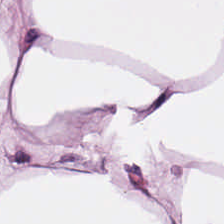0.5 microns per pixel. WSI patch. Hematoxylin and eosin — Adipocytes.
